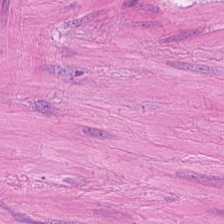Stain: H&E.
Resolution: 20× equivalent magnification.
Classification: smooth-muscle tissue.
